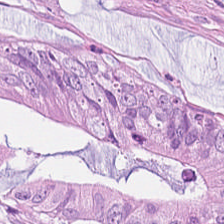0.5 microns per pixel · hematoxylin and eosin — {"tissue_type": "colorectal adenocarcinoma epithelium"}
